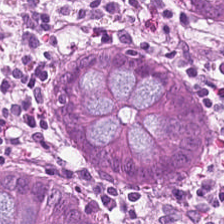Stain: hematoxylin and eosin.
Tissue: normal colonic mucosa.
